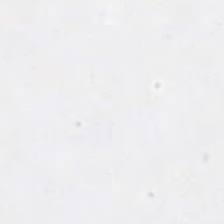{"content": "no tissue"}
